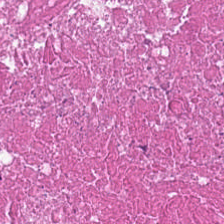The tissue class is necrotic debris.
